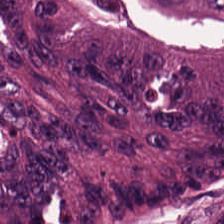H&E stain. Brightfield microscopy.
{"tissue_type": "colorectal adenocarcinoma"}
